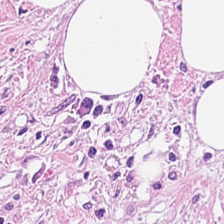H&E stain — This field is tumor stroma.
